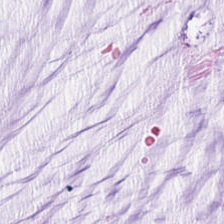H&E · 0.5 microns per pixel.
Predominantly mucus.
